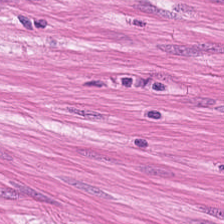224×224 pixel tile. H&E stain. Impression → smooth-muscle tissue.
